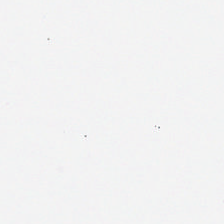Hematoxylin and eosin — Q: What does this patch show?
A: This is empty background.
